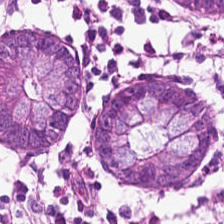Hematoxylin and eosin; FFPE tissue section — Histology — normal colonic mucosa.
